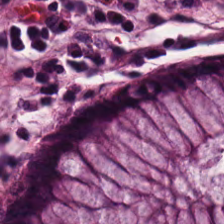Hematoxylin and eosin · WSI patch. Q: What is shown in this field?
A: This is non-neoplastic colon mucosa.
